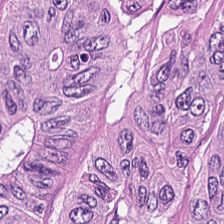H&E-stained tissue section.
The predominant tissue is colorectal adenocarcinoma.
